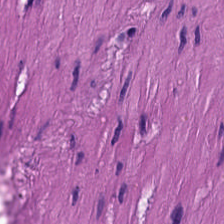H&E stain · WSI patch. Tissue class — smooth-muscle tissue.
